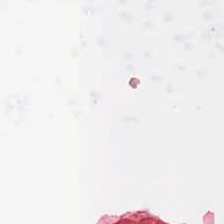This patch shows background (no tissue).
